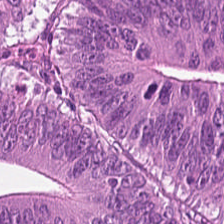This field is colorectal adenocarcinoma epithelium.
